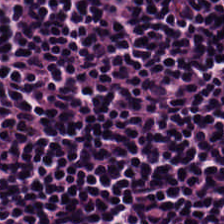This field is lymphoid infiltrate.
